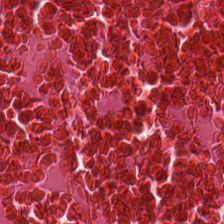Classification — cellular debris.
